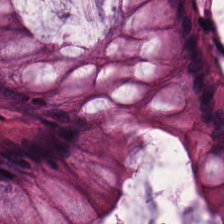H&E · brightfield microscopy · FFPE.
Q: What does this patch show?
A: It is non-neoplastic colon mucosa.
